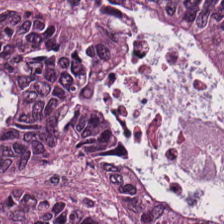H&E-stained tissue section — Q: What does this patch show?
A: Tumor epithelium.
